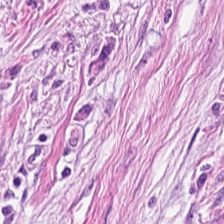Formalin-fixed paraffin-embedded section. Hematoxylin and eosin. {"tissue_type": "tumor stroma"}
